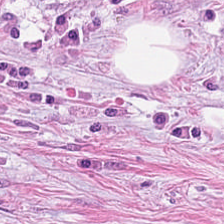FFPE tissue section; H&E stain; 0.5 µm per pixel.
This patch shows desmoplastic stroma.
